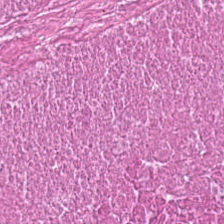The predominant tissue is necrotic debris.
